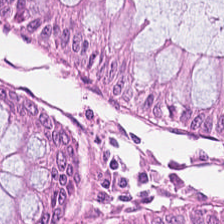Hematoxylin-and-eosin stained section · 0.5 µm/px.
Histology → normal colonic mucosa.
